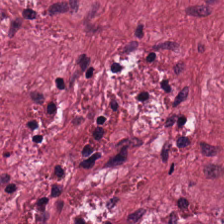Hematoxylin-and-eosin stained section. 20× equivalent magnification.
This patch shows tumor-associated stroma.
